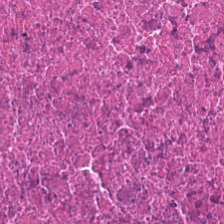H&E-stained section; the field shows debris.
